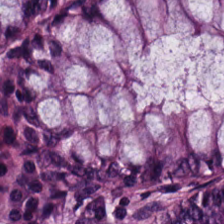Stain: H&E-stained tissue section.
Predominant tissue: normal colon mucosa.
